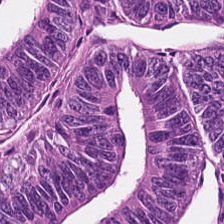H&E stain — {"tissue_type": "colorectal adenocarcinoma epithelium"}
